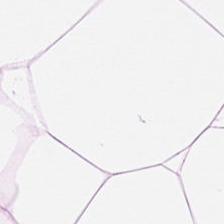Hematoxylin and eosin.
Showing fat tissue.
